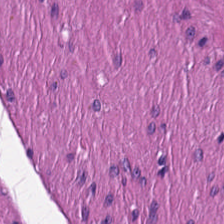Classification = smooth muscle.
